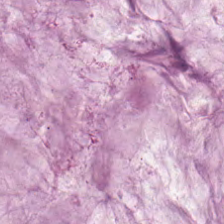Stain: H&E-stained tissue section.
Tissue type: extracellular mucin.
